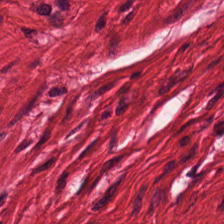224×224 px patch. Hematoxylin-and-eosin stained section. Muscularis.
